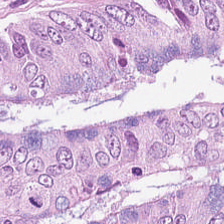Q: Classify this patch.
A: Colorectal adenocarcinoma.
